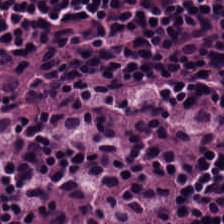FFPE tissue section. H&E-stained tissue section.
Lymphoid infiltrate.
